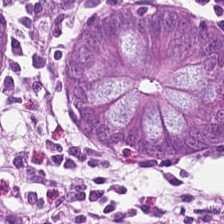Hematoxylin and eosin; 0.5 µm/px.
This patch shows normal colon mucosa.
